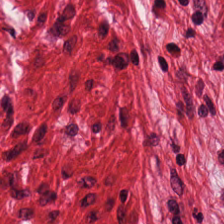H&E stain. Q: What is shown in this field?
A: The field shows smooth-muscle tissue.
